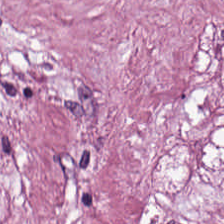Brightfield microscopy · H&E-stained tissue section.
The tissue is desmoplastic stroma.
